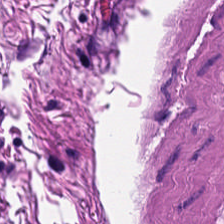H&E; 0.5 µm/px. Tissue class = muscularis.
